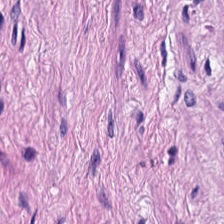Hematoxylin and eosin. This patch shows smooth-muscle tissue.
